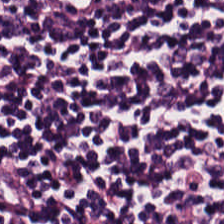Hematoxylin-and-eosin stained section — {"tissue_type": "lymphocytes"}
